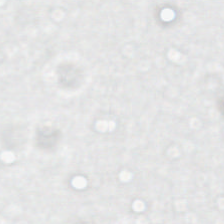Hematoxylin-and-eosin stained section — The content is empty background.
